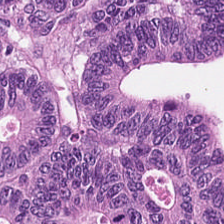H&E-stained tissue section — Tissue type: malignant epithelium.
